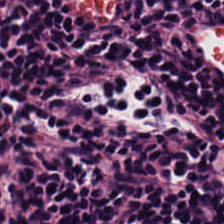Stain: H&E-stained tissue section.
Resolution: 0.5 µm per pixel.
Predominant tissue: lymphocytes.
